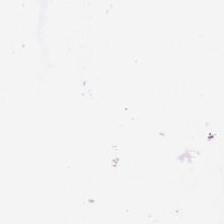Hematoxylin and eosin — Finding → no tissue.
